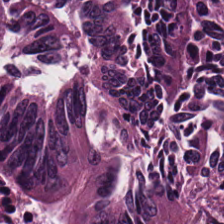Stain: H&E-stained tissue section.
Tile size: 224×224 pixel tile.
Tissue type: adenocarcinoma.
